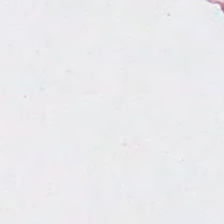Stain: hematoxylin-and-eosin stained section.
Field content: background (no tissue).
